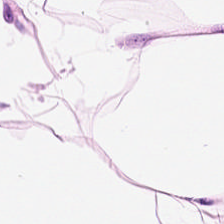The tissue is adipose tissue.
